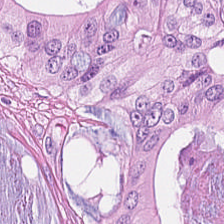224×224 px patch; hematoxylin and eosin — Predominant tissue = malignant epithelium.
